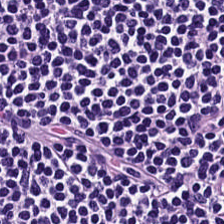Hematoxylin and eosin; 224×224 px tile.
Showing lymphocyte aggregate.
